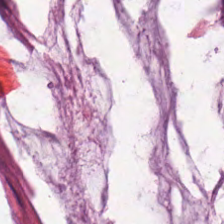Hematoxylin and eosin. {"tissue_type": "mucin"}
